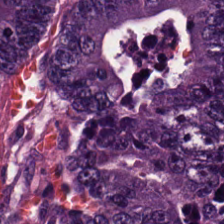Q: What type of tissue is this?
A: The field shows tumor epithelium.
